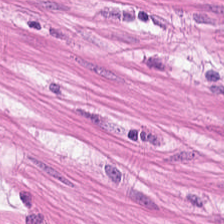Hematoxylin and eosin. This patch shows smooth muscle.
